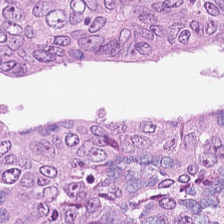H&E stain · formalin-fixed paraffin-embedded section. Tissue class = tumor epithelium.
